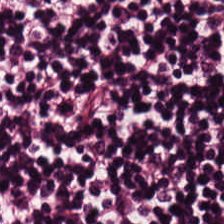H&E-stained tissue section. Q: What is shown here?
A: Lymphocytic infiltrate.
